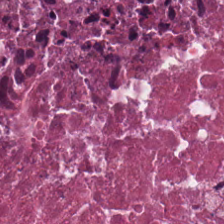H&E stain. Q: What does this patch show?
A: This is debris.
